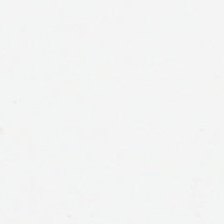Background — no tissue in this field.
